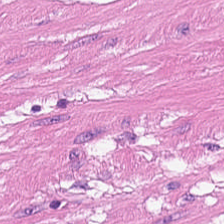Hematoxylin and eosin · FFPE tissue section — Tissue type — smooth-muscle tissue.
